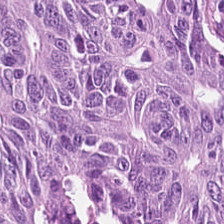H&E stain.
Tissue type — adenocarcinoma.
